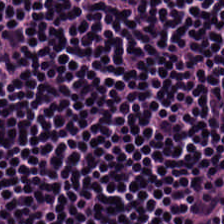Tissue = lymphocytes.
